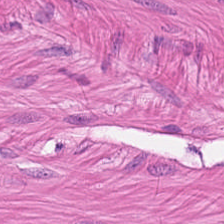Histology — smooth-muscle tissue.
